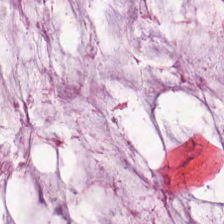Hematoxylin-and-eosin stained section — Q: Identify the tissue.
A: This is mucin.
